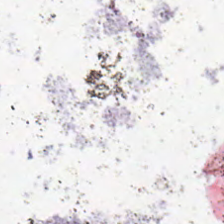H&E · brightfield microscopy. The content is empty background.
